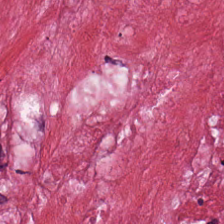The classification is tumor stroma.
